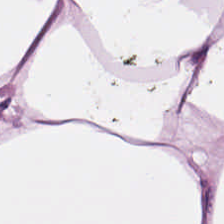H&E; brightfield microscopy — This patch shows adipocytes.
